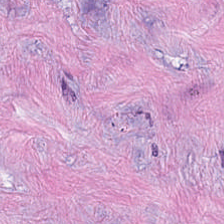H&E stain. Tissue class: tumor stroma.
